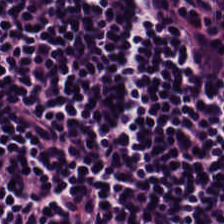Tissue class: lymphocytic infiltrate.
